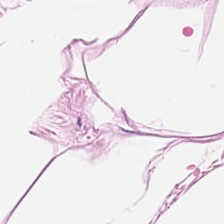Hematoxylin-and-eosin stained section. Adipose tissue.
